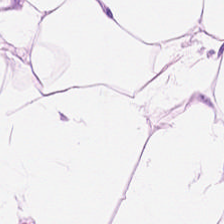Stain: hematoxylin and eosin.
Classification: fat tissue.
